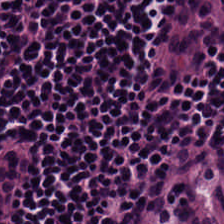H&E — This patch shows lymphocyte aggregate.
